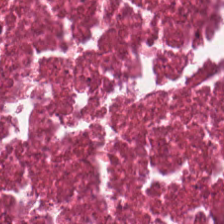Predominantly necrotic debris.
